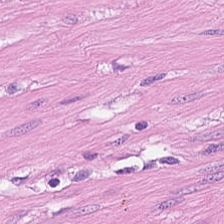Hematoxylin and eosin — Predominantly smooth-muscle tissue.
